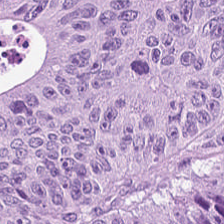Stain: H&E-stained tissue section.
Tile size: 224×224 pixel tile.
Predominant tissue: colorectal adenocarcinoma epithelium.
